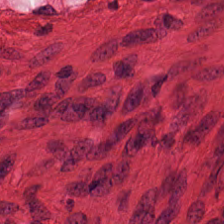H&E-stained tissue section.
{"tissue_type": "smooth muscle"}
